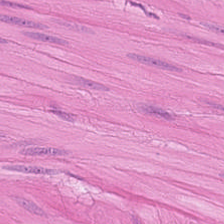Whole-slide-image patch · hematoxylin-and-eosin stained section. The classification is smooth muscle.
